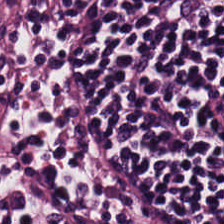Hematoxylin-and-eosin stained section — This field is lymphoid infiltrate.
